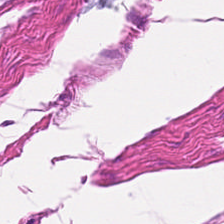Hematoxylin-and-eosin stained section. Muscularis.
